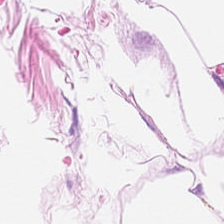Stain: hematoxylin-and-eosin stained section.
Tile size: 224×224 pixel tile.
Classification: adipose.
